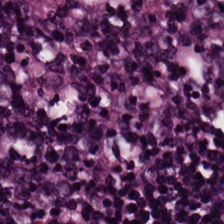Brightfield. 224×224 px tile. H&E — Q: What does this patch show?
A: It is lymphocytic infiltrate.
